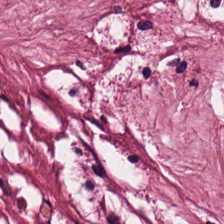H&E. Tumor stroma.
